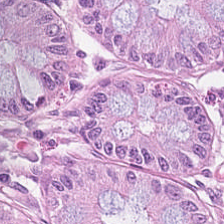H&E-stained tissue section — Tissue class — normal colonic mucosa.
